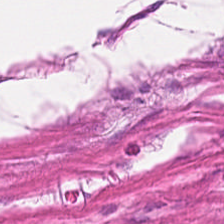0.5 µm per pixel. Hematoxylin-and-eosin stained section. Smooth-muscle tissue.
